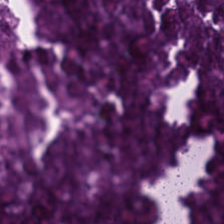Hematoxylin-and-eosin stained section.
The predominant tissue is cellular debris.
